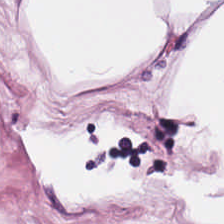Fat tissue.
